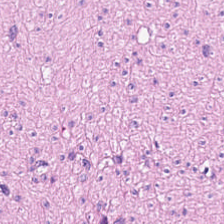Stain: hematoxylin and eosin.
Tissue: muscularis.
